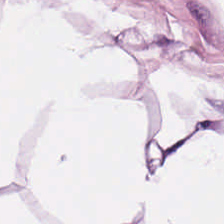H&E-stained tissue section. Tissue type — adipose tissue.
